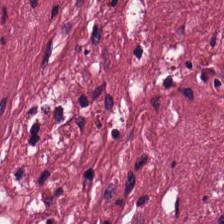Showing tumor-associated stroma.
